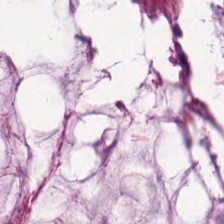H&E patch showing mucus.
